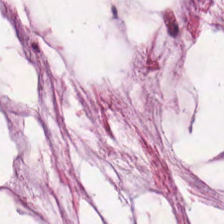H&E. Brightfield. Predominantly mucin.
